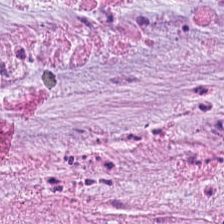Stain: hematoxylin-and-eosin stained section.
Preparation: formalin-fixed paraffin-embedded section.
Tissue class: mucin.
